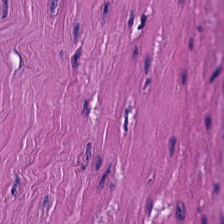Histology → smooth muscle.
